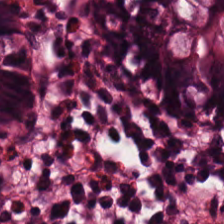Hematoxylin-and-eosin stained section.
Showing non-neoplastic colon mucosa.
